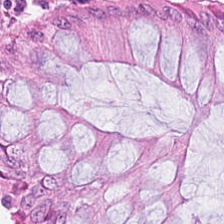Stain: H&E-stained tissue section.
Tissue class: normal colonic mucosa.
